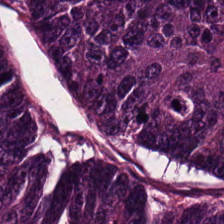FFPE tissue section. Brightfield microscopy. Hematoxylin-and-eosin stained section — {"tissue_type": "malignant epithelium"}
